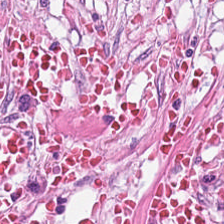WSI patch. 224×224 px tile. Hematoxylin-and-eosin stained section. Q: What is shown in this field?
A: Cancer-associated stroma.
